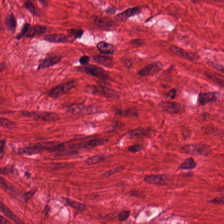H&E-stained tissue section.
The predominant tissue is muscularis.
